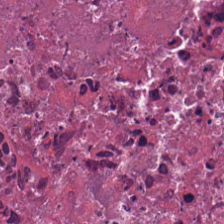H&E-stained tissue section; 224×224 px tile — Q: What is shown here?
A: The field shows cellular debris.
